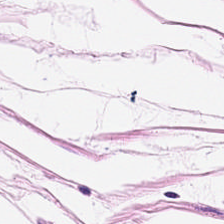H&E-stained tissue section; formalin-fixed paraffin-embedded section; 0.5 µm per pixel.
Predominantly fat tissue.
